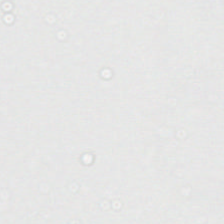Classification: no tissue.
